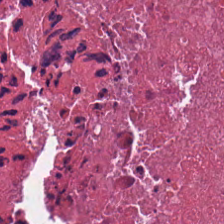H&E. Predominantly cellular debris.
